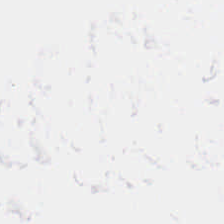H&E. Brightfield microscopy.
Q: Classify this patch.
A: The field shows no tissue.
